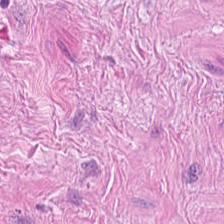Whole-slide-image patch. H&E-stained tissue section — Q: What does this patch show?
A: The field shows smooth muscle.
